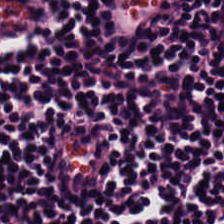H&E.
Tissue class: lymphoid infiltrate.
